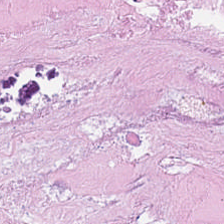Hematoxylin and eosin. Tissue type = debris.
